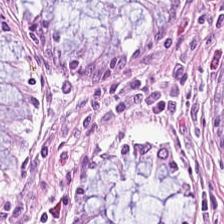{"tissue_type": "normal colonic mucosa"}
